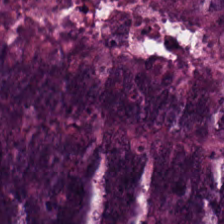Hematoxylin-and-eosin stained section. Q: What is shown here?
A: This is colorectal adenocarcinoma epithelium.
